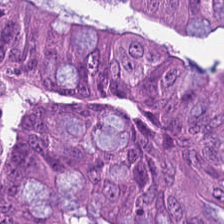Stain: H&E.
Tissue type: malignant epithelium.
